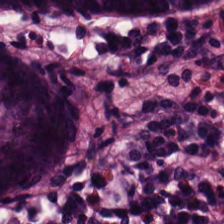H&E — benign colonic mucosa.
